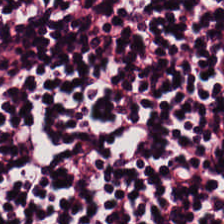20× equivalent magnification. H&E — Predominantly lymphocyte aggregate.
